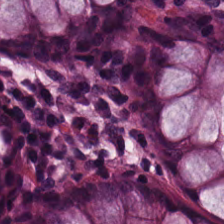Whole-slide-image patch; H&E-stained tissue section — Tissue class: non-neoplastic colon mucosa.
